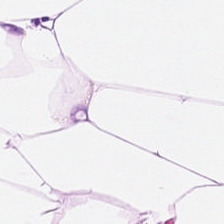FFPE · H&E · 224×224 pixel tile. Q: What is shown in this field?
A: Adipose.
